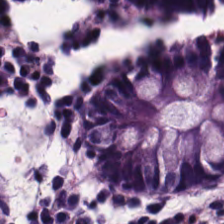H&E-stained tissue section.
Q: What type of tissue is this?
A: Non-neoplastic colon mucosa.
